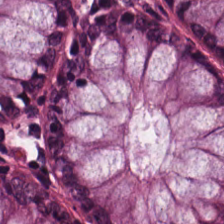224×224 pixel tile · FFPE tissue section · hematoxylin-and-eosin stained section. Tissue type = non-neoplastic colon mucosa.
